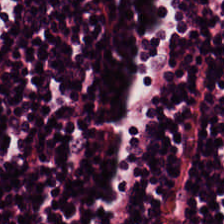Hematoxylin-and-eosin stained section. Q: What tissue type is shown here?
A: This is lymphocytic infiltrate.
